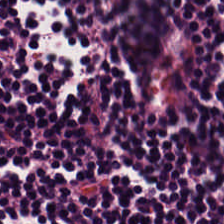H&E-stained tissue section. Formalin-fixed paraffin-embedded section. The tissue class is lymphocytes.
